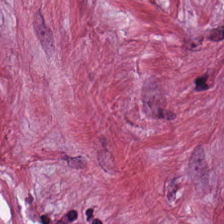Hematoxylin-and-eosin stained section. Q: What type of tissue is this?
A: Tumor-associated stroma.
